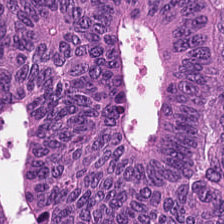H&E. The tissue here is colorectal adenocarcinoma.
